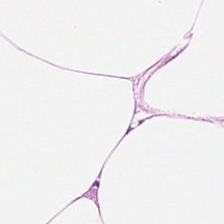Stain: H&E stain.
Predominant tissue: fat tissue.
